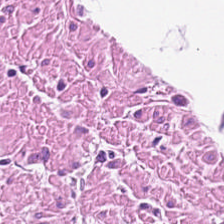H&E stain.
Histology → smooth-muscle tissue.
